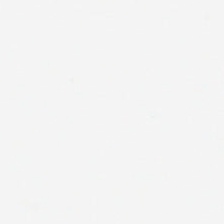Hematoxylin-and-eosin stained section. Classification = empty background.
